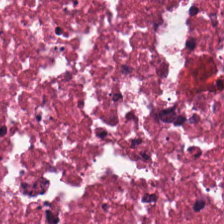Hematoxylin and eosin — Q: Identify the tissue.
A: This is necrotic debris.
